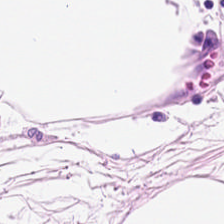0.5 µm per pixel; H&E stain; 224×224 px tile. Q: What is the predominant tissue type?
A: This is fat tissue.
